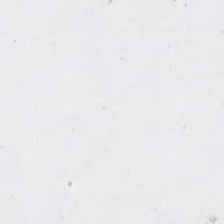Hematoxylin and eosin; 224×224 px tile — No tissue present; background only.
